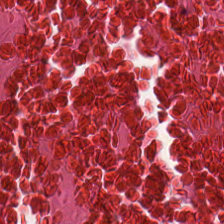Hematoxylin-and-eosin stained section.
The classification is cellular debris.
